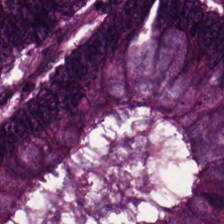0.5 microns per pixel · H&E stain · 224×224 px tile. Q: Identify the tissue.
A: Colorectal adenocarcinoma.
